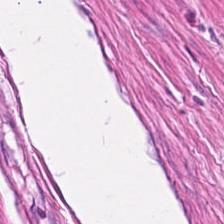0.5 µm per pixel · hematoxylin-and-eosin stained section.
Smooth-muscle tissue.
